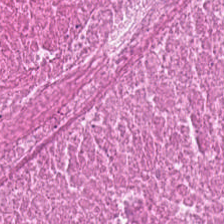H&E stain.
{"tissue_type": "debris"}
